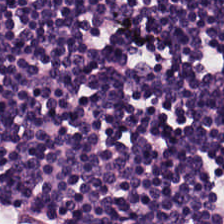Impression — lymphocytic infiltrate.
